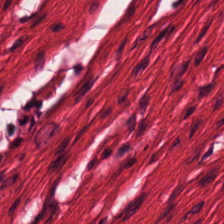Hematoxylin and eosin. 224×224 pixel tile. Tissue = smooth-muscle tissue.
